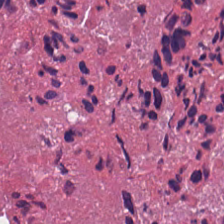H&E stain. The predominant tissue is cellular debris.
